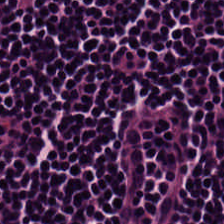Stain: hematoxylin and eosin.
Tissue class: lymphoid infiltrate.
